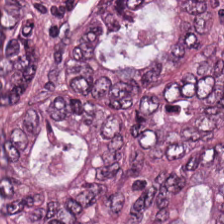Hematoxylin and eosin — Impression — malignant epithelium.
